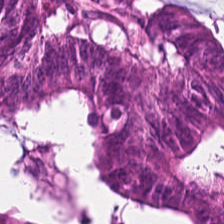H&E. FFPE tissue section — This patch shows colorectal adenocarcinoma epithelium.
